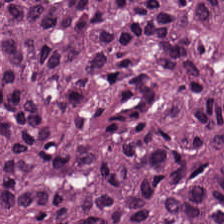H&E — Q: What is shown in this field?
A: Adenocarcinoma.
